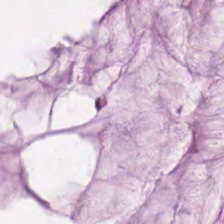Hematoxylin-and-eosin stained section — Q: What does this patch show?
A: Mucus.
